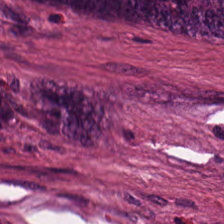H&E stain — Q: What is the predominant tissue type?
A: This is malignant epithelium.
